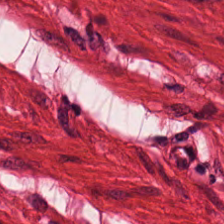Hematoxylin-and-eosin stained section — Tissue class: smooth muscle.
